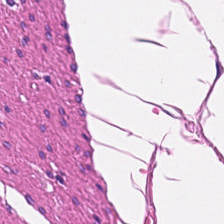H&E-stained tissue section.
This patch shows muscularis.
